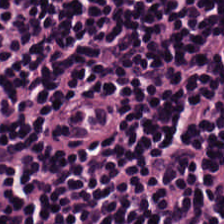Stain: H&E.
Classification: lymphoid infiltrate.
